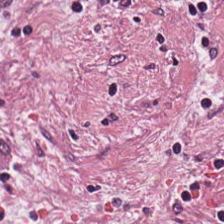H&E patch showing tumor-associated stroma.
